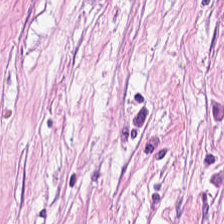H&E.
The tissue here is cancer-associated stroma.
